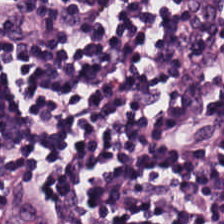H&E — Q: What is the predominant tissue type?
A: The field shows lymphoid infiltrate.
